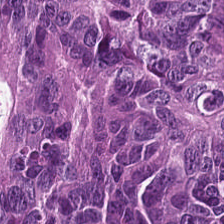Hematoxylin and eosin.
The tissue here is adenocarcinoma.
